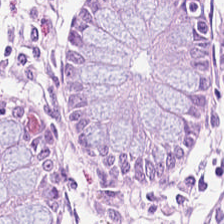Non-neoplastic colon mucosa.
